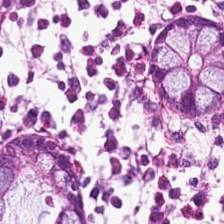H&E. This patch shows normal colon mucosa.
